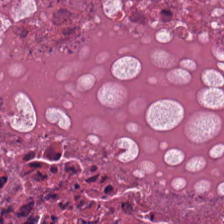H&E — debris.
